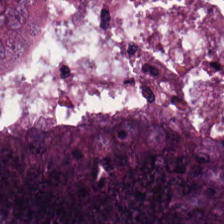Impression → tumor epithelium.
